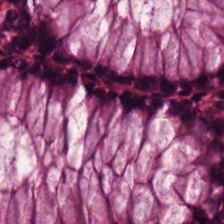Stain: H&E stain.
Classification: normal colon mucosa.
